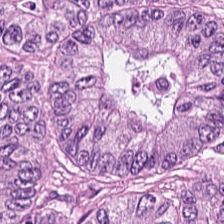H&E-stained tissue section.
Predominantly colorectal adenocarcinoma epithelium.
